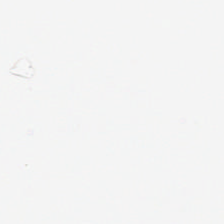Q: What does this patch show?
A: This is background.
